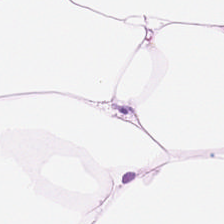FFPE tissue section. Hematoxylin and eosin — Q: What does this patch show?
A: It is adipose tissue.
